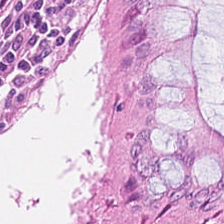224×224 px patch; H&E-stained tissue section — Predominant tissue: benign colonic mucosa.
